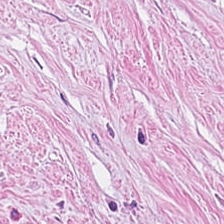Q: What tissue is shown?
A: It is cancer-associated stroma.
